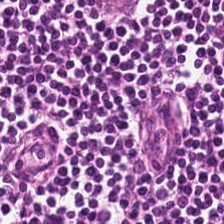Stain: hematoxylin and eosin.
Resolution: 0.5 microns per pixel.
Tissue: lymphoid infiltrate.
